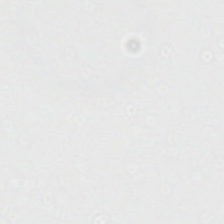H&E. Q: Classify this patch.
A: It is empty background.
